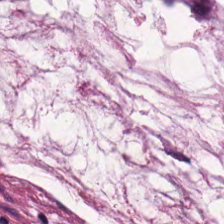FFPE tissue section. Brightfield. Hematoxylin and eosin — This field is mucus.
